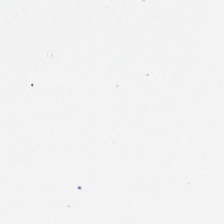H&E stain. Content = background (no tissue).
